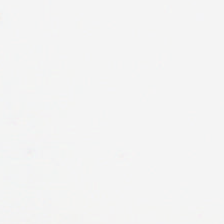{"content": "no tissue"}
